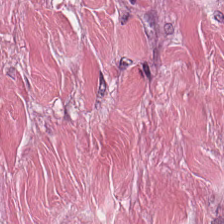Brightfield · 224×224 px tile · hematoxylin and eosin — This patch shows tumor stroma.
